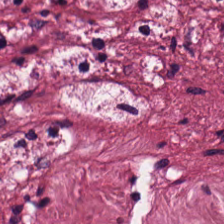{"tissue_type": "cancer-associated stroma"}
